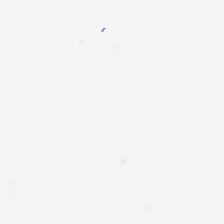No tissue present; background only.
